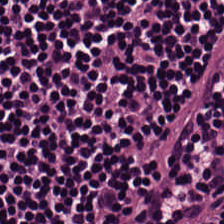The predominant tissue is lymphocyte aggregate.
